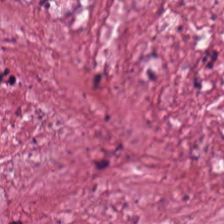This patch shows desmoplastic stroma.
